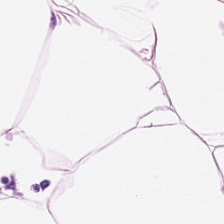The tissue class is adipose tissue.
